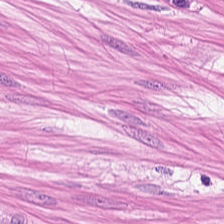H&E stain — Q: What is shown here?
A: This is smooth-muscle tissue.
